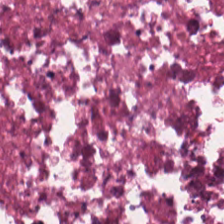H&E-stained tissue section. Brightfield.
Tissue class = necrotic debris.
